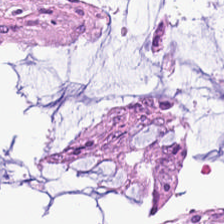Brightfield; H&E stain — Histology → non-neoplastic colon mucosa.
